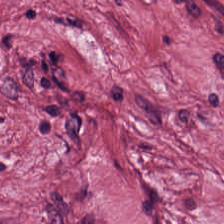FFPE · brightfield microscopy · hematoxylin-and-eosin stained section — Showing tumor-associated stroma.
